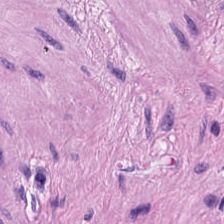Whole-slide-image patch. Formalin-fixed paraffin-embedded section. Hematoxylin-and-eosin stained section — Tissue class = smooth muscle.
